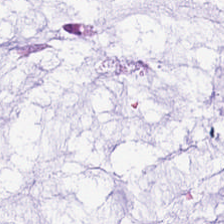Tissue class — extracellular mucin.
